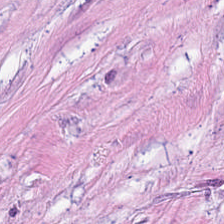Hematoxylin and eosin — Finding → tumor stroma.
